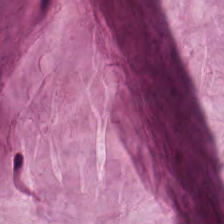H&E. Finding — mucin.
